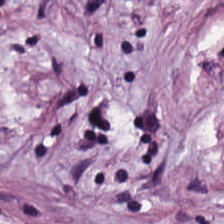Hematoxylin-and-eosin section: desmoplastic stroma.
